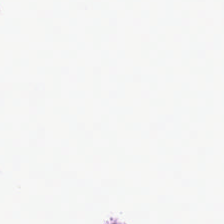Q: What does this patch show?
A: The field shows empty background.
